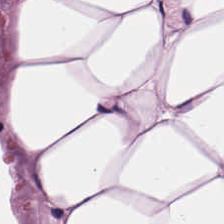H&E — Adipocytes.
